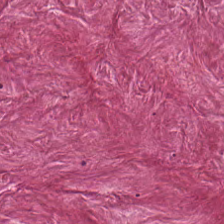Formalin-fixed paraffin-embedded section. Hematoxylin and eosin. 0.5 microns per pixel.
Tissue class = tumor stroma.
